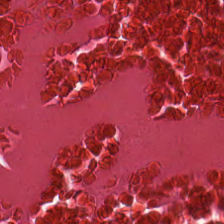Q: What is the predominant tissue type?
A: Necrotic debris.
